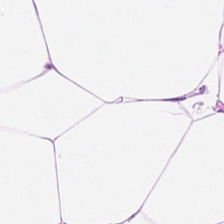H&E. Predominantly adipose tissue.
